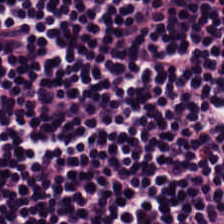Stain: H&E.
Tissue class: lymphocytes.
